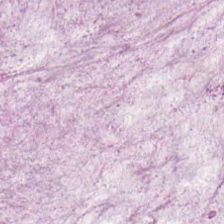H&E; whole-slide-image patch.
Histology → mucus.
